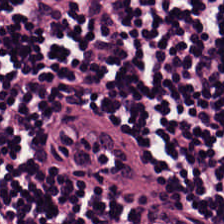H&E — Tissue class = lymphocytes.
